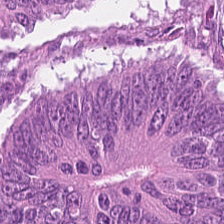H&E-stained section; the field shows colorectal adenocarcinoma.
